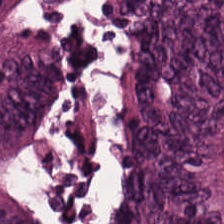Hematoxylin-and-eosin stained section — Tissue: colorectal adenocarcinoma.
